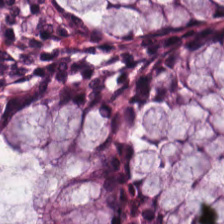H&E.
Q: What is shown in this field?
A: The field shows normal colonic mucosa.
